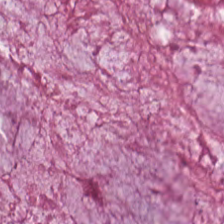Hematoxylin and eosin · formalin-fixed paraffin-embedded section. Mucus.
